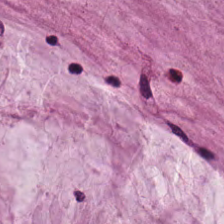Histology — mucin.
